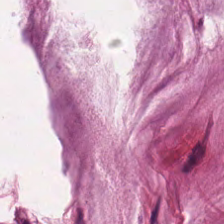The tissue class is mucin.
